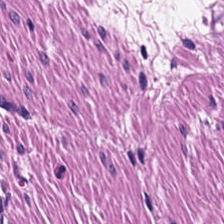H&E.
Finding — muscularis.
